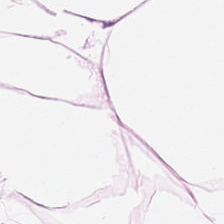H&E-stained tissue section. Fat tissue.
